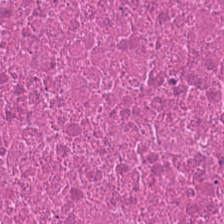Hematoxylin and eosin.
Impression → debris.
